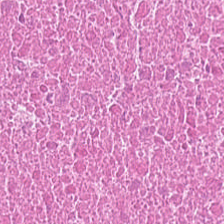0.5 microns per pixel. H&E-stained tissue section — Q: Identify the tissue.
A: The field shows debris.
